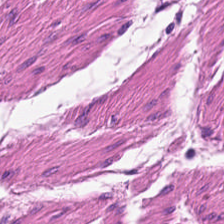FFPE. H&E-stained tissue section — This patch shows muscularis.
